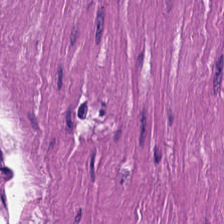Hematoxylin-and-eosin stained section; FFPE tissue section — Q: What is the predominant tissue type?
A: It is muscularis.
